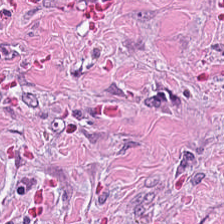Stain: H&E-stained tissue section.
Acquisition: whole-slide-image patch.
Tissue: tumor-associated stroma.
